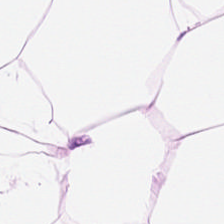H&E-stained tissue section. Tissue class: adipose.
